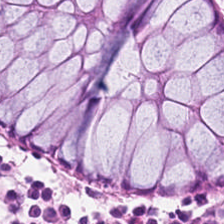Formalin-fixed paraffin-embedded section. H&E.
Q: What does this patch show?
A: The field shows normal colonic mucosa.
